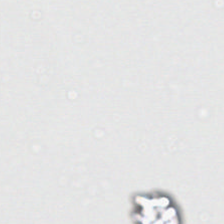H&E. Background — no tissue in this field.
